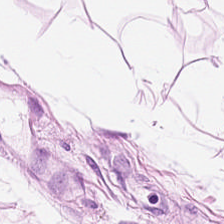This field is adipose tissue.
